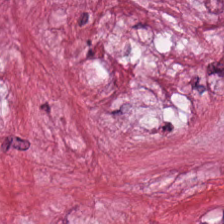0.5 microns per pixel. 224×224 px tile. H&E — Predominantly desmoplastic stroma.
